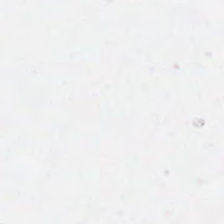H&E.
Q: Classify this patch.
A: This is background (no tissue).
